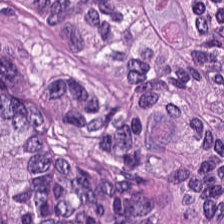Hematoxylin-and-eosin stained section. This field is tumor epithelium.
